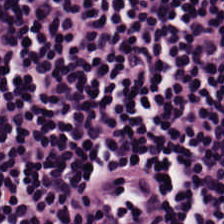Hematoxylin and eosin.
This field is lymphocyte aggregate.
